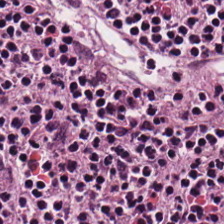Hematoxylin and eosin. Predominantly lymphocytic infiltrate.
